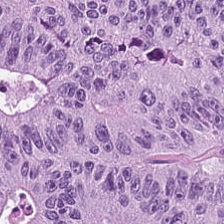WSI patch. H&E stain. FFPE tissue section.
Classification = colorectal adenocarcinoma epithelium.
